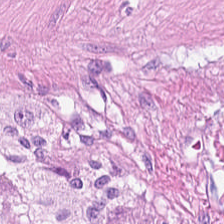H&E.
Tissue type = smooth muscle.
